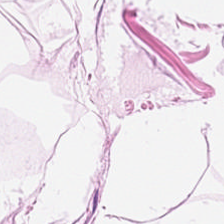H&E. 0.5 µm per pixel. Impression — adipocytes.
